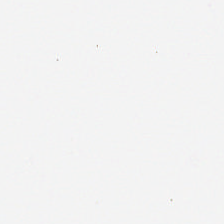H&E-stained tissue section.
Field content = empty background.
